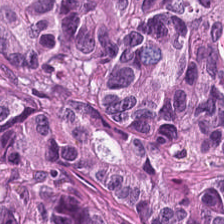Hematoxylin and eosin. Showing adenocarcinoma.
